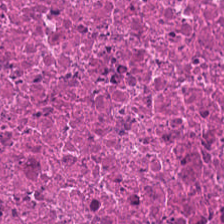H&E stain — Q: What is the predominant tissue type?
A: The field shows necrotic debris.
